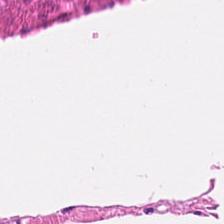H&E-stained tissue section showing smooth muscle.
